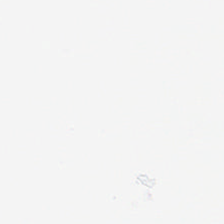Hematoxylin and eosin · whole-slide-image patch.
This patch shows background.
